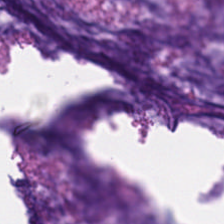Predominantly mucus.
